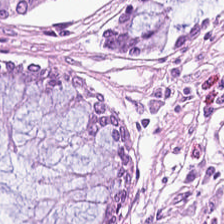Stain: hematoxylin and eosin.
Predominant tissue: benign colonic mucosa.
